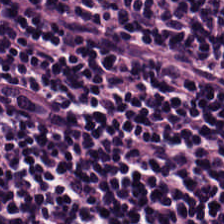Stain: H&E.
Acquisition: brightfield.
Tissue class: lymphocytes.
